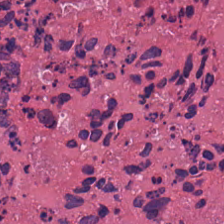Formalin-fixed paraffin-embedded section · hematoxylin and eosin — Q: What is shown in this field?
A: The field shows necrotic debris.
